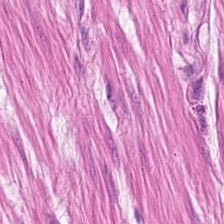Tissue — muscularis.
